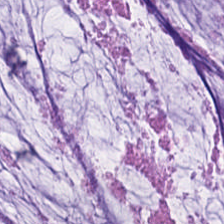H&E.
This field is mucus.
